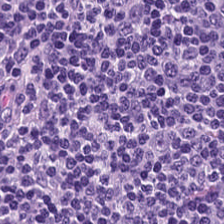H&E-stained tissue section.
Predominantly lymphocytic infiltrate.
